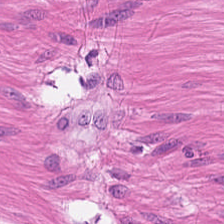Hematoxylin and eosin.
The predominant tissue is muscularis.
